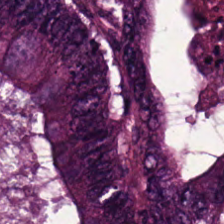Brightfield microscopy. Hematoxylin-and-eosin stained section. The tissue class is colorectal adenocarcinoma epithelium.
